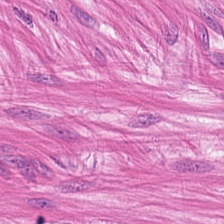Stain: hematoxylin-and-eosin stained section.
Predominant tissue: smooth-muscle tissue.
